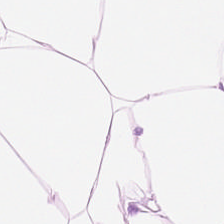0.5 µm per pixel · H&E. The predominant tissue is adipocytes.
